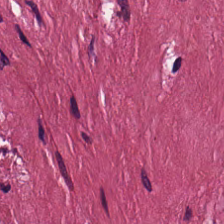Hematoxylin and eosin · 224×224 px patch · brightfield.
Impression — tumor-associated stroma.
